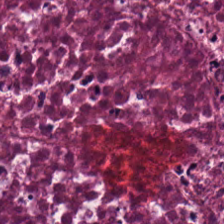Hematoxylin and eosin. Brightfield. 20× equivalent magnification — Tissue: cellular debris.
